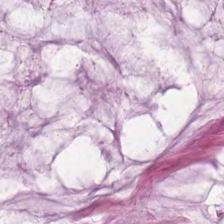H&E-stained tissue section — Classification = mucin.
